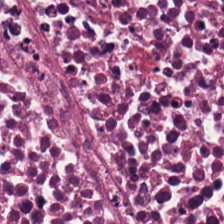H&E stain. Q: Classify this patch.
A: This is necrotic debris.
